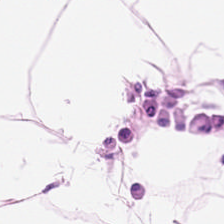H&E-stained tissue section. Predominant tissue — adipose tissue.
